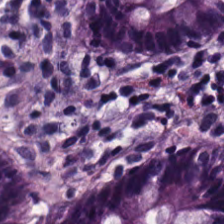Stain: H&E-stained tissue section.
Classification: benign colonic mucosa.
